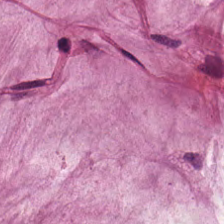This patch shows mucus.
